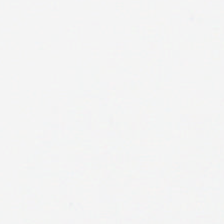Hematoxylin-and-eosin stained section.
Content — background.
